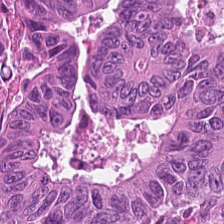Brightfield; hematoxylin-and-eosin stained section. The tissue here is malignant epithelium.
